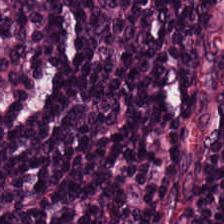H&E stain.
Tissue: lymphocyte aggregate.
